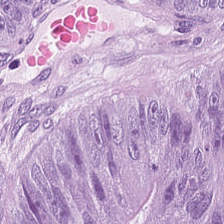20× equivalent magnification · H&E-stained tissue section — Histology → colorectal adenocarcinoma.
